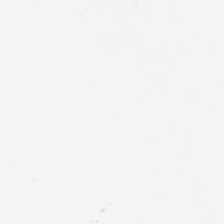Finding → empty background.
